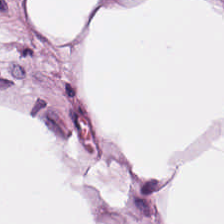Hematoxylin-and-eosin section: adipose.
